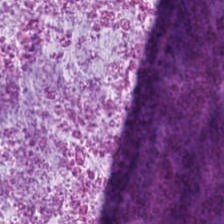224×224 pixel tile; WSI patch; H&E-stained tissue section. Q: What is shown here?
A: Extracellular mucin.
